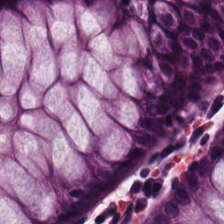Stain: H&E-stained tissue section.
Classification: normal colonic mucosa.
